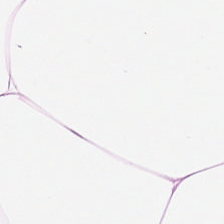Hematoxylin and eosin — Fat tissue.
